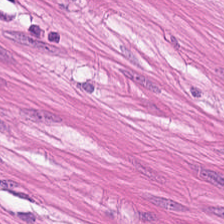H&E-stained tissue section — Showing smooth muscle.
